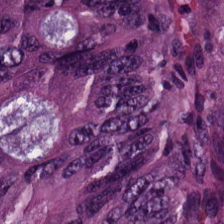Q: What tissue is shown?
A: The field shows malignant epithelium.
